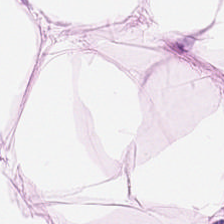Hematoxylin and eosin.
Predominantly adipocytes.
